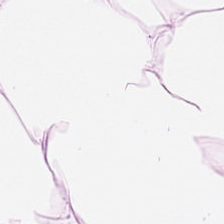Hematoxylin and eosin. This patch shows fat tissue.
